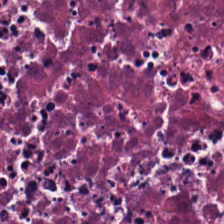H&E. Q: Identify the tissue.
A: The field shows debris.
